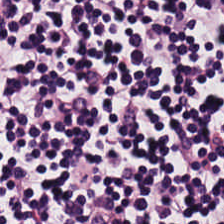H&E-stained tissue section — Q: What is shown in this field?
A: The field shows lymphocyte aggregate.
